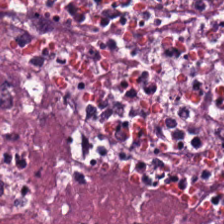Formalin-fixed paraffin-embedded section; H&E stain.
Finding → debris.
